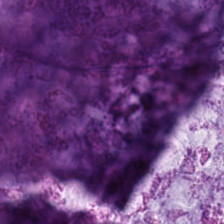Hematoxylin-and-eosin stained section — The predominant tissue is extracellular mucin.
